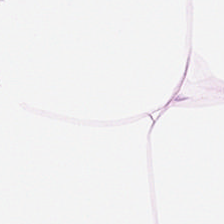Hematoxylin and eosin.
The classification is adipose tissue.
